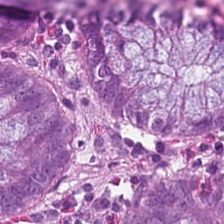Stain: H&E stain.
Preparation: FFPE tissue section.
Tissue class: benign colonic mucosa.
